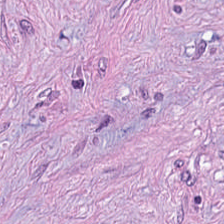Hematoxylin and eosin.
Predominantly cancer-associated stroma.
